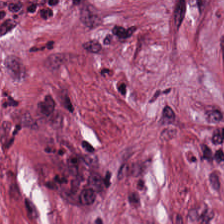Stain: H&E.
Acquisition: WSI patch.
Preparation: FFPE.
Tissue: tumor-associated stroma.
